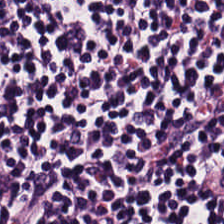20× equivalent magnification. H&E. Whole-slide-image patch — Q: What is shown here?
A: It is lymphocytes.
